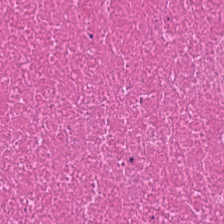Q: What is shown here?
A: The field shows necrotic debris.
